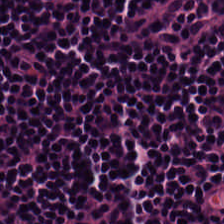H&E stain · 224×224 pixel tile — Predominant tissue — lymphocyte aggregate.
